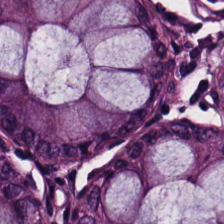Predominant tissue — normal colon mucosa.
